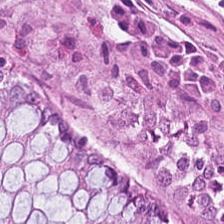H&E stain · 0.5 µm per pixel. Predominant tissue = benign colonic mucosa.
